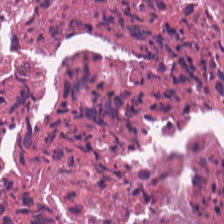Hematoxylin and eosin; 224×224 px patch — Showing debris.
